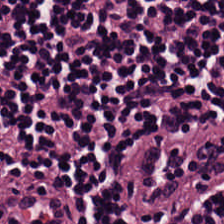H&E stain. Impression → lymphocyte aggregate.
